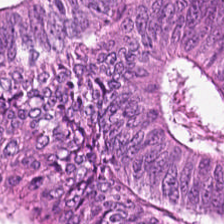Classification — tumor epithelium.
